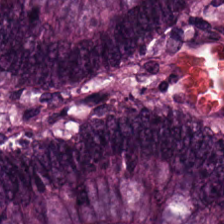Predominant tissue = colorectal adenocarcinoma.
